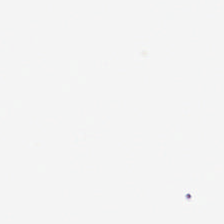This patch shows background (no tissue).
